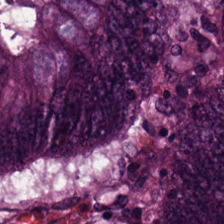Hematoxylin and eosin — Tissue: tumor epithelium.
